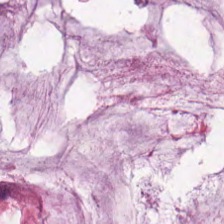Hematoxylin and eosin. 0.5 µm per pixel — Impression → mucin.
